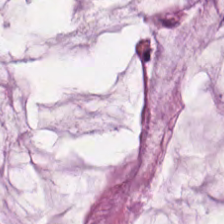20× equivalent magnification. Formalin-fixed paraffin-embedded section. H&E — Q: What tissue is shown?
A: Mucus.
